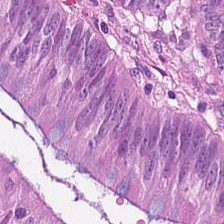H&E-stained tissue section · 224×224 px tile. Predominantly tumor epithelium.
